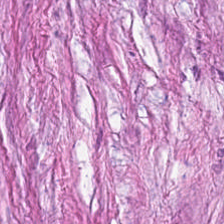H&E.
The tissue here is tumor stroma.
